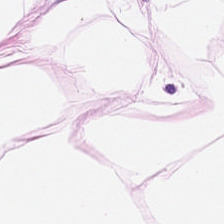H&E stain · 224×224 pixel tile — Q: Classify this patch.
A: This is adipose.
